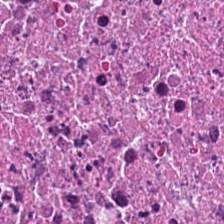H&E stain · brightfield microscopy.
Q: What is the predominant tissue type?
A: The field shows necrotic debris.
